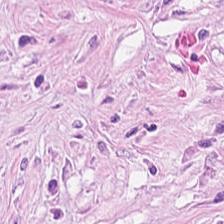Hematoxylin-and-eosin stained section. The tissue type is cancer-associated stroma.
